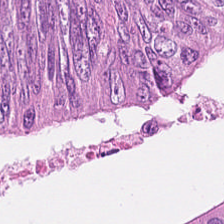0.5 µm per pixel · 224×224 px patch · H&E stain.
Q: What does this patch show?
A: The field shows adenocarcinoma.
